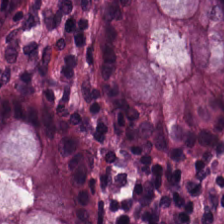H&E; formalin-fixed paraffin-embedded section. Q: What tissue is shown?
A: It is normal colon mucosa.
